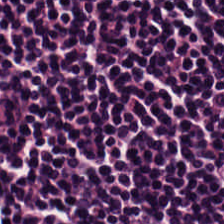224×224 px tile. H&E. Tissue type = lymphocyte aggregate.
